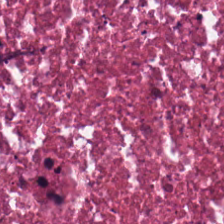H&E stain — Q: What is the predominant tissue type?
A: The field shows necrotic debris.
